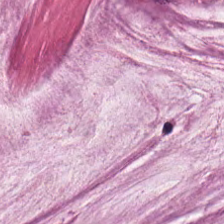H&E-stained tissue section. The tissue here is mucin.
